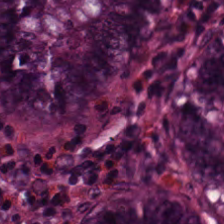Hematoxylin and eosin.
Tissue type = non-neoplastic colon mucosa.
